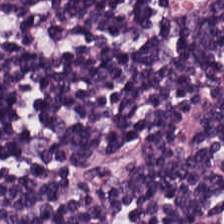Hematoxylin and eosin — Q: Classify this patch.
A: The field shows lymphocytic infiltrate.
